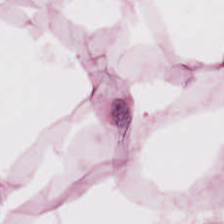H&E.
{"tissue_type": "fat tissue"}
